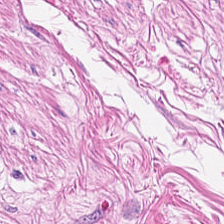224×224 px tile. H&E-stained tissue section — Q: What tissue type is shown here?
A: The field shows smooth muscle.
